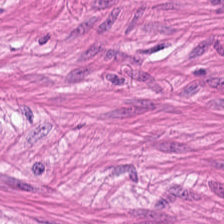Brightfield microscopy · formalin-fixed paraffin-embedded section · H&E stain. This field is muscularis.
